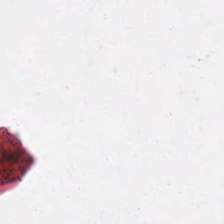H&E; 0.5 µm per pixel. No tissue present; background only.
